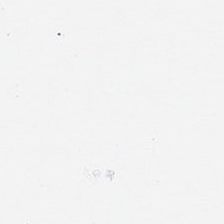Stain: H&E-stained tissue section.
Content: background (no tissue).
